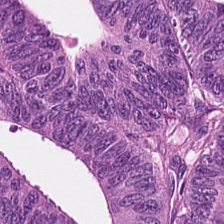H&E stain · FFPE tissue section · 224×224 pixel tile — Tissue type: adenocarcinoma.
